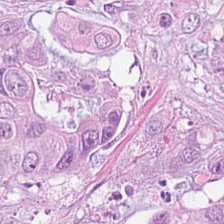Hematoxylin-and-eosin stained section.
Predominantly tumor epithelium.
